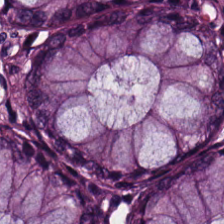Stain: H&E-stained tissue section.
Predominant tissue: normal colon mucosa.
